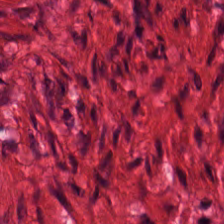Hematoxylin-and-eosin stained section. Finding → smooth-muscle tissue.
